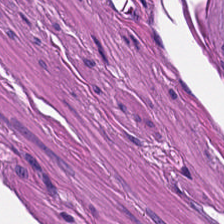0.5 microns per pixel · hematoxylin and eosin. Predominant tissue — smooth muscle.
